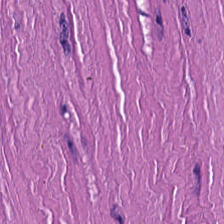Hematoxylin-and-eosin stained section — Predominantly muscularis.
